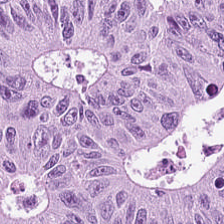Hematoxylin-and-eosin stained section. 224×224 px tile.
Q: What does this patch show?
A: This is colorectal adenocarcinoma.
